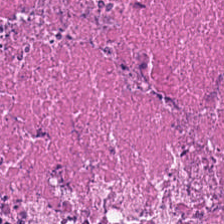Hematoxylin and eosin; 224×224 px patch; formalin-fixed paraffin-embedded section. Finding — necrotic debris.
